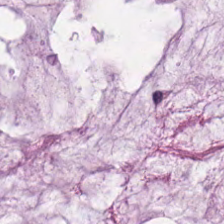H&E.
Predominantly mucus.
